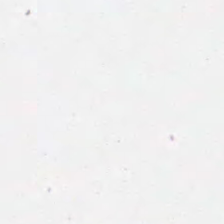Empty background.
